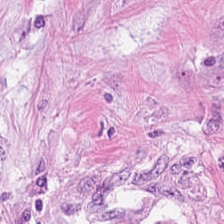H&E stain.
Predominant tissue — tumor stroma.
